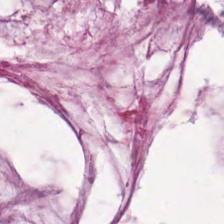Q: What tissue is shown?
A: Extracellular mucin.
